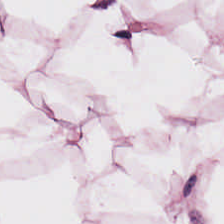H&E stain — Showing adipocytes.
